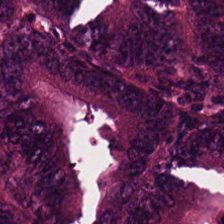H&E-stained tissue section.
{"tissue_type": "adenocarcinoma"}
